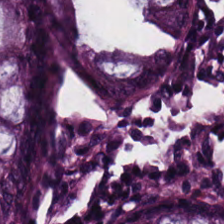H&E-stained tissue section; brightfield.
This patch shows normal colon mucosa.
